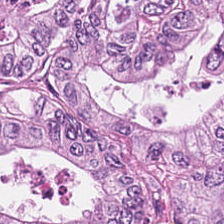224×224 pixel tile; H&E.
The tissue here is adenocarcinoma.
